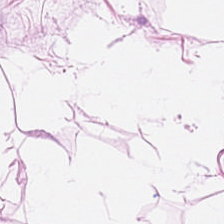Hematoxylin-and-eosin stained section — The tissue here is adipocytes.
